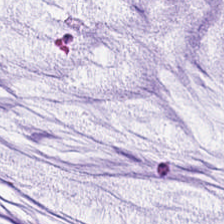20× equivalent magnification. H&E stain. Tissue: mucin.
